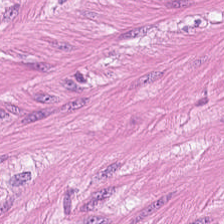FFPE tissue section · hematoxylin and eosin · 224×224 pixel tile — The predominant tissue is smooth muscle.
